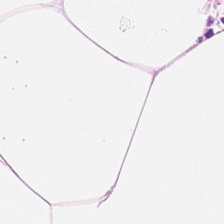Histology → adipose.
